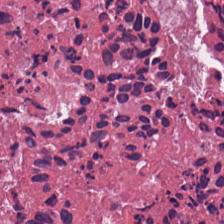224×224 pixel tile; hematoxylin-and-eosin stained section; 0.5 µm/px.
The tissue here is debris.
